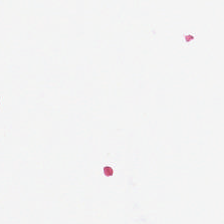H&E · 224×224 pixel tile — Empty field — empty background.
